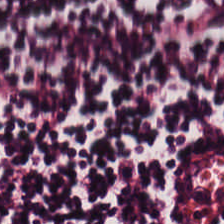Whole-slide-image patch · H&E stain · FFPE tissue section — Q: What is shown here?
A: The field shows lymphoid infiltrate.
